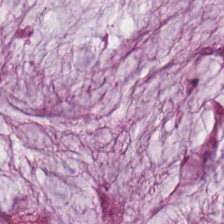Q: What tissue is shown?
A: Mucus.
